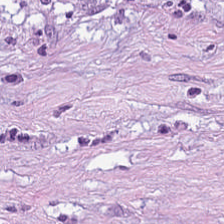Hematoxylin and eosin. Tissue class — tumor-associated stroma.
